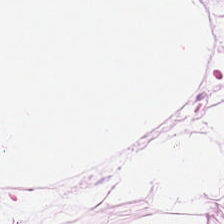Hematoxylin and eosin. Brightfield. Adipocytes.
